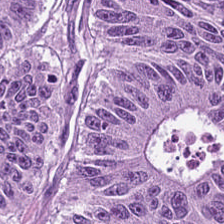Hematoxylin-and-eosin stained section. 0.5 microns per pixel — The tissue type is colorectal adenocarcinoma.
